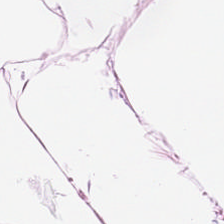Hematoxylin-and-eosin stained section; 224×224 px tile — Showing adipose.
